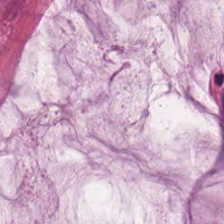H&E-stained tissue section. 0.5 microns per pixel.
This field is extracellular mucin.
